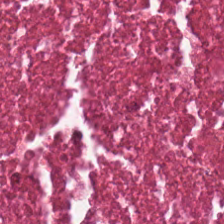H&E-stained tissue section — Predominantly necrotic debris.
